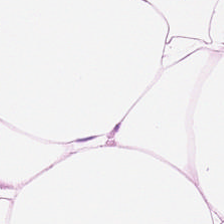H&E-stained tissue section — Q: What is shown in this field?
A: This is adipose tissue.
